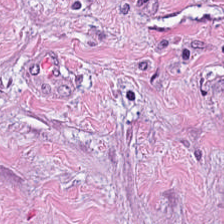FFPE · 0.5 µm/px · H&E stain.
Q: What is shown here?
A: The field shows tumor-associated stroma.
